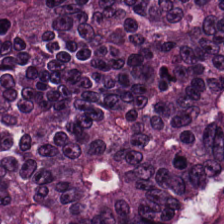FFPE tissue section; hematoxylin-and-eosin stained section. Q: What tissue type is shown here?
A: The field shows tumor epithelium.
